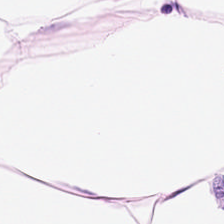Hematoxylin-and-eosin stained section. Histology → adipose tissue.
